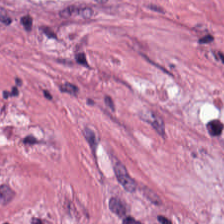{"tissue_type": "cancer-associated stroma"}
